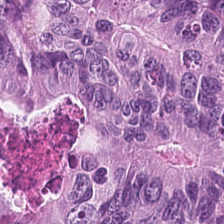Q: Classify this patch.
A: The field shows colorectal adenocarcinoma.
